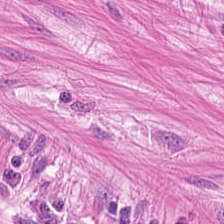H&E-stained tissue section.
Tissue class — smooth-muscle tissue.
